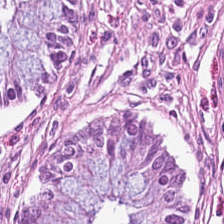H&E-stained tissue section · FFPE tissue section. Histology — benign colonic mucosa.
